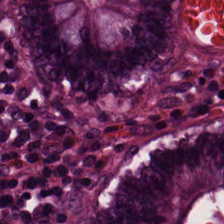The tissue type is benign colonic mucosa.
